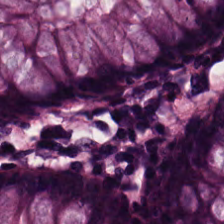H&E-stained tissue section — The tissue here is benign colonic mucosa.
